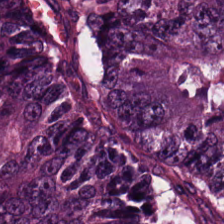Hematoxylin and eosin. Classification: colorectal adenocarcinoma.
